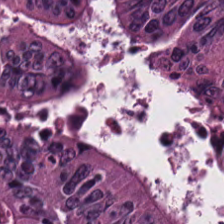H&E-stained tissue section; 224×224 pixel tile; 0.5 µm/px. {"tissue_type": "colorectal adenocarcinoma epithelium"}
